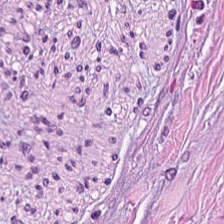WSI patch · H&E-stained tissue section — Tissue: desmoplastic stroma.
